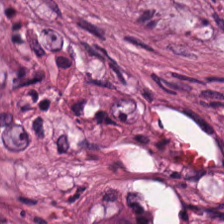Brightfield; H&E stain; 0.5 µm/px.
Predominantly cellular debris.
